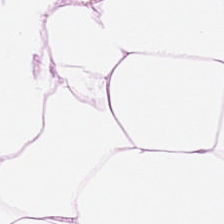H&E-stained tissue section. This field is adipocytes.
